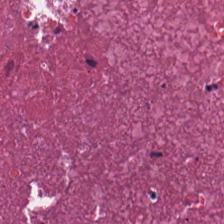Stain: H&E-stained tissue section.
Classification: cellular debris.
